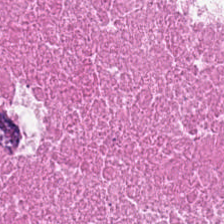The tissue here is cellular debris.
